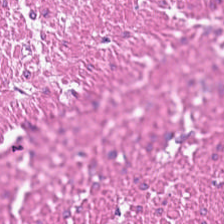Formalin-fixed paraffin-embedded section. WSI patch. H&E — Q: What does this patch show?
A: Smooth-muscle tissue.
